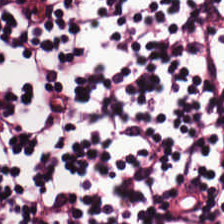224×224 px tile; H&E.
Tissue class — lymphocytic infiltrate.
